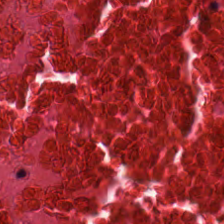H&E-stained tissue section.
Q: What is shown here?
A: Cellular debris.
